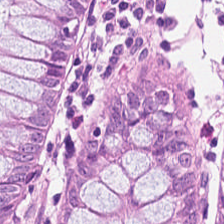H&E stain; 0.5 microns per pixel. The predominant tissue is non-neoplastic colon mucosa.
